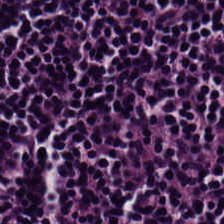H&E stain; brightfield microscopy; 224×224 px tile. {"tissue_type": "lymphocyte aggregate"}
